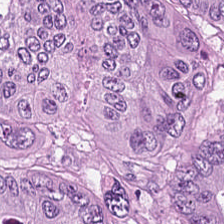FFPE tissue section; H&E-stained tissue section — Predominantly tumor epithelium.
